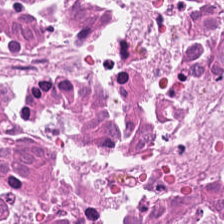20× equivalent magnification. Hematoxylin-and-eosin stained section. Brightfield microscopy.
The predominant tissue is debris.
